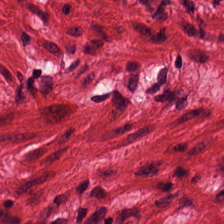Hematoxylin-and-eosin stained section. 0.5 µm/px.
Showing muscularis.
